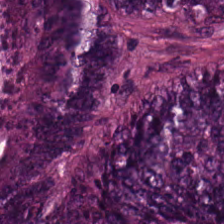Predominant tissue = malignant epithelium.
